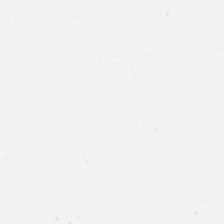Stain: H&E.
Acquisition: brightfield.
Resolution: 0.5 µm/px.
Content: background (no tissue).
